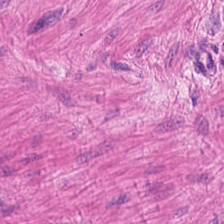224×224 px patch. H&E-stained tissue section — Finding → muscularis.
